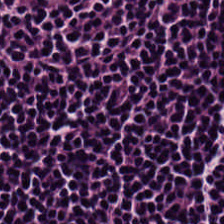20× equivalent magnification; H&E.
Tissue class: lymphocyte aggregate.
